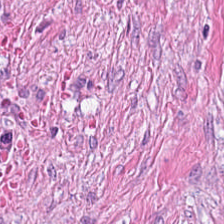Stain: hematoxylin-and-eosin stained section.
Tissue class: desmoplastic stroma.
